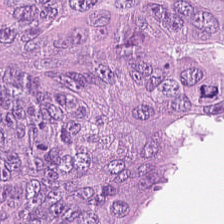FFPE · hematoxylin and eosin — Q: Identify the tissue.
A: Malignant epithelium.
